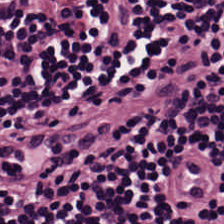Stain: H&E stain.
Predominant tissue: lymphocyte aggregate.
